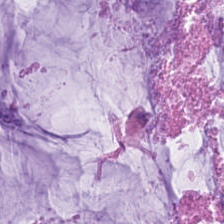Hematoxylin and eosin — This field is mucus.
